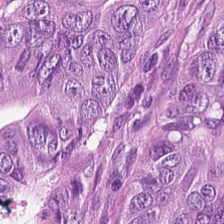Showing adenocarcinoma.
